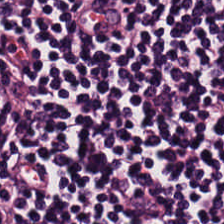{"tissue_type": "lymphocytic infiltrate"}
